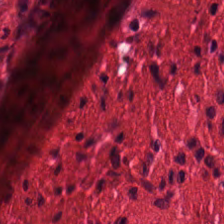Hematoxylin-and-eosin stained section.
This field is smooth muscle.
